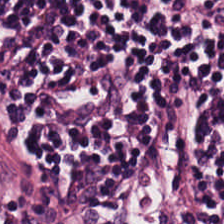H&E stain · WSI patch — {"tissue_type": "lymphocyte aggregate"}
